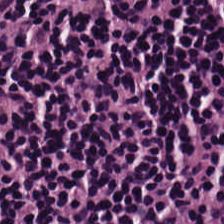H&E.
Impression → lymphocytic infiltrate.
